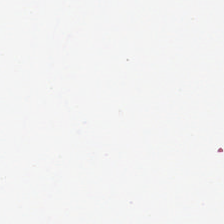Hematoxylin-and-eosin stained section — Empty field — empty background.
